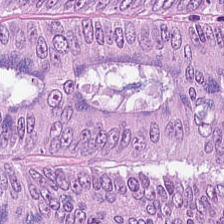H&E · brightfield — The tissue here is malignant epithelium.
